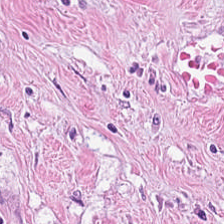224×224 pixel tile. Formalin-fixed paraffin-embedded section. H&E stain — Q: What type of tissue is this?
A: This is desmoplastic stroma.
